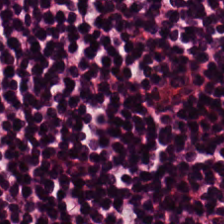Tissue class — lymphocytes.
